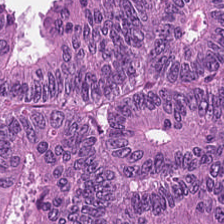Stain: H&E stain.
Predominant tissue: adenocarcinoma.
